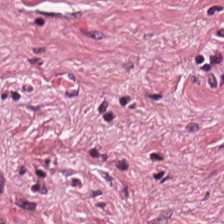H&E stain; FFPE; 224×224 pixel tile. The predominant tissue is tumor stroma.
